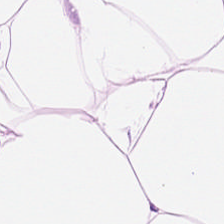H&E patch showing adipocytes.
